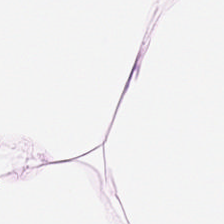FFPE. 20× equivalent magnification. H&E stain — The classification is adipose tissue.
